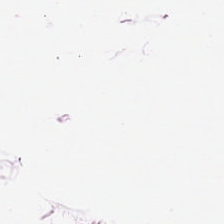Stain: H&E.
Resolution: 20× equivalent magnification.
Tissue class: adipocytes.
